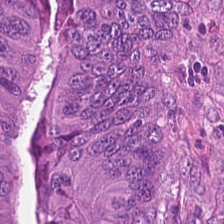Predominant tissue = adenocarcinoma.
